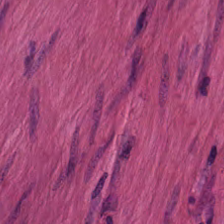H&E — muscularis.
